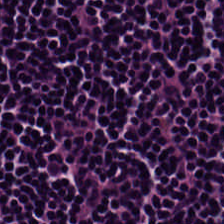0.5 microns per pixel · FFPE tissue section · H&E stain. Tissue class = lymphocytes.
